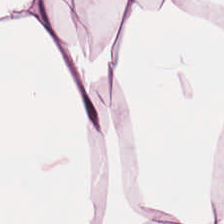H&E. 20× equivalent magnification. Brightfield. Predominantly adipose.
